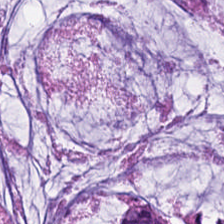H&E stain. Showing extracellular mucin.
